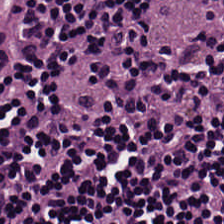Hematoxylin and eosin. 224×224 px patch. Showing lymphocyte aggregate.
